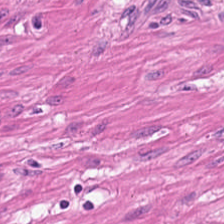H&E-stained tissue section · FFPE. This field is muscularis.
